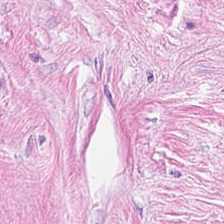Tissue type = desmoplastic stroma.
